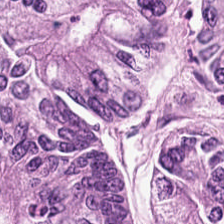The classification is malignant epithelium.
